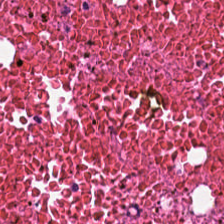0.5 microns per pixel · H&E stain.
The predominant tissue is necrotic debris.
